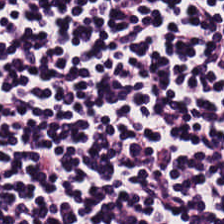Hematoxylin and eosin; 224×224 px patch.
The tissue here is lymphocytic infiltrate.
